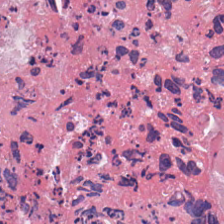Stain: H&E stain.
Tissue: cellular debris.
